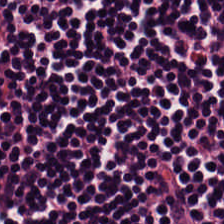H&E-stained tissue section · brightfield — Predominant tissue = lymphocytic infiltrate.
